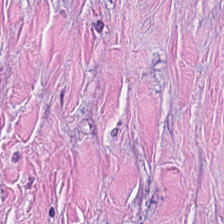Hematoxylin and eosin.
Tissue class = tumor-associated stroma.
